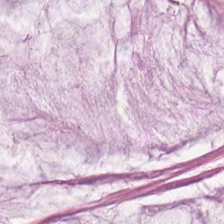Hematoxylin-and-eosin stained section.
Predominant tissue: mucus.
